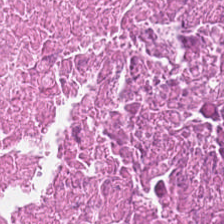Hematoxylin-and-eosin stained section — The tissue here is debris.
